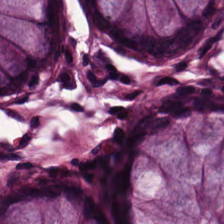0.5 microns per pixel · H&E · FFPE tissue section. Showing normal colonic mucosa.
